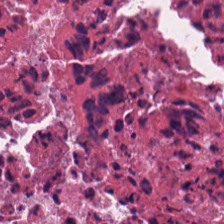Stain: H&E.
Tissue class: necrotic debris.
